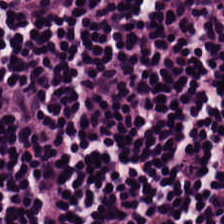H&E stain · 224×224 px tile — Tissue: lymphoid infiltrate.
